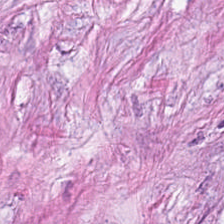H&E-stained tissue section — This patch shows tumor stroma.
